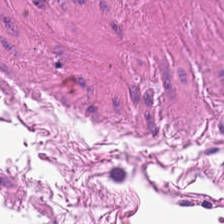H&E stain. Histology → smooth-muscle tissue.
